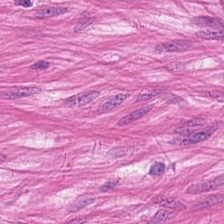This field is muscularis.
